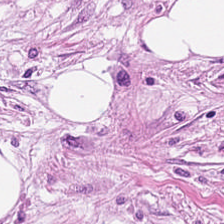The classification is desmoplastic stroma.
